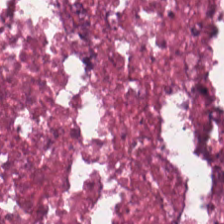The tissue class is cellular debris.
